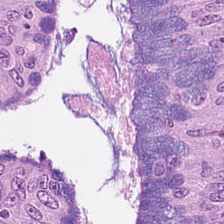H&E patch showing malignant epithelium.
